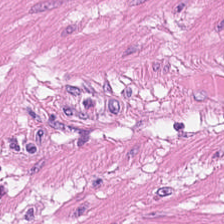H&E stain — This patch shows smooth-muscle tissue.
